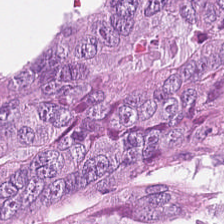224×224 pixel tile · hematoxylin and eosin · 20× equivalent magnification — Predominant tissue — colorectal adenocarcinoma.
